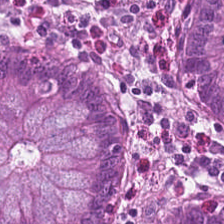H&E stain. FFPE tissue section.
The tissue here is benign colonic mucosa.
